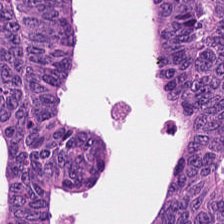Tissue — tumor epithelium.
